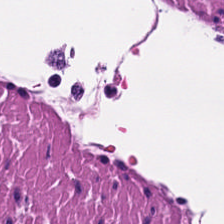H&E patch showing smooth-muscle tissue.
